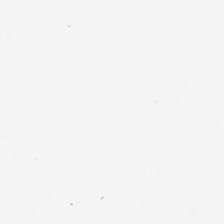Stain: hematoxylin and eosin.
Preparation: FFPE tissue section.
Tile size: 224×224 pixel tile.
Field content: empty background.
